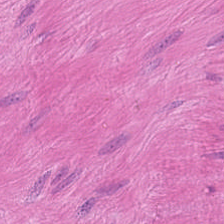This patch shows smooth muscle.
